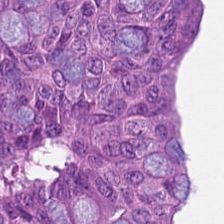H&E-stained tissue section. Tumor epithelium.
